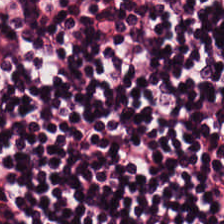Hematoxylin and eosin — Tissue class = lymphoid infiltrate.
